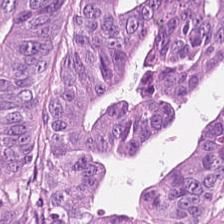H&E stain — Tissue type = adenocarcinoma.
